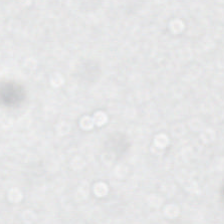Classification — no tissue.
